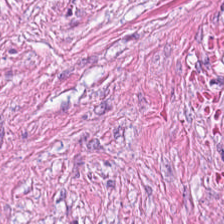H&E — cancer-associated stroma.
